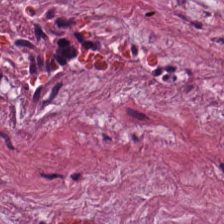Hematoxylin and eosin.
Predominant tissue — tumor-associated stroma.
